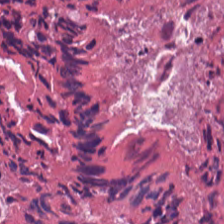Hematoxylin and eosin.
Q: What tissue is shown?
A: This is debris.
